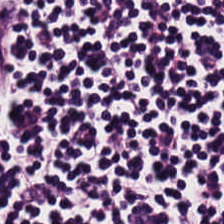H&E. Tissue type — lymphocytic infiltrate.
